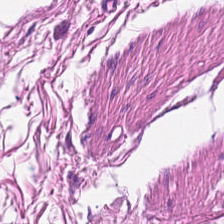H&E-stained tissue section.
This patch shows smooth-muscle tissue.
